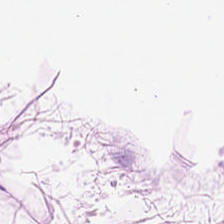0.5 µm/px · H&E. Tissue class: adipocytes.
